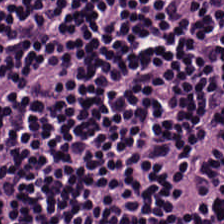FFPE. 0.5 µm/px. H&E stain. Finding → lymphoid infiltrate.
